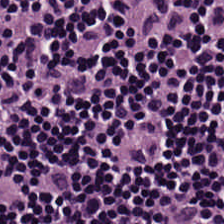Stain: H&E stain.
Tile size: 224×224 pixel tile.
Tissue class: lymphoid infiltrate.
